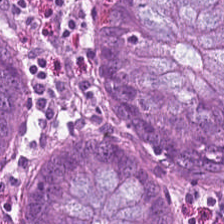H&E stain — The tissue here is normal colon mucosa.
